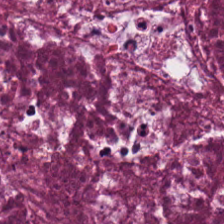224×224 pixel tile; H&E. The tissue here is debris.
